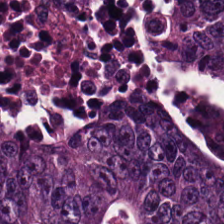Hematoxylin-and-eosin stained section · 224×224 px tile.
Q: Classify this patch.
A: The field shows adenocarcinoma.
